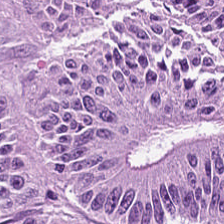H&E stain. The tissue is malignant epithelium.
